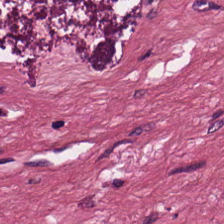224×224 pixel tile · hematoxylin-and-eosin stained section — Q: What does this patch show?
A: It is tumor-associated stroma.
